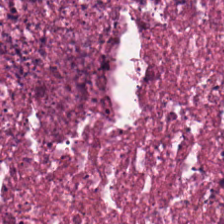H&E; 224×224 px patch. Q: What tissue type is shown here?
A: The field shows necrotic debris.
